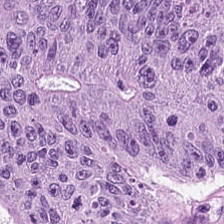{"tissue_type": "tumor epithelium"}
